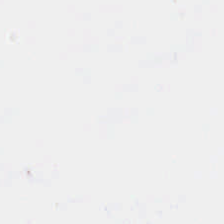H&E. {"content": "empty background"}
